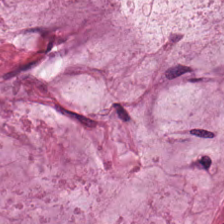Histology → extracellular mucin.
